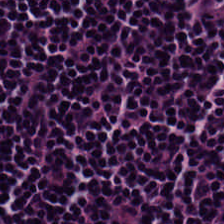H&E-stained tissue section · WSI patch · 0.5 µm per pixel.
The tissue here is lymphocyte aggregate.
